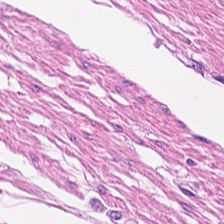Hematoxylin and eosin.
Q: Classify this patch.
A: This is smooth-muscle tissue.
